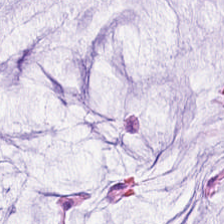Formalin-fixed paraffin-embedded section; WSI patch; H&E.
This patch shows extracellular mucin.
